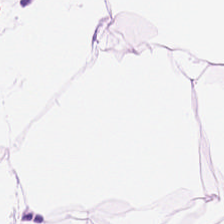H&E; WSI patch.
Q: What is shown here?
A: This is adipocytes.
